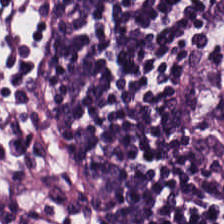WSI patch. 0.5 microns per pixel. H&E-stained tissue section.
Tissue: lymphocytes.
